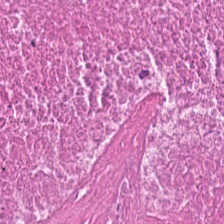Histology → cellular debris.
